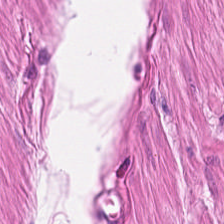20× equivalent magnification · H&E-stained tissue section. Tissue: smooth muscle.
